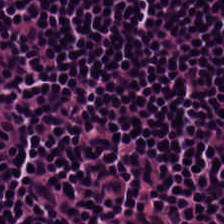Brightfield. Formalin-fixed paraffin-embedded section. Hematoxylin and eosin. This patch shows lymphoid infiltrate.
